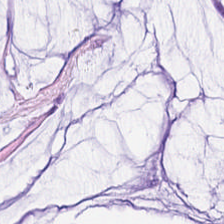Stain: hematoxylin-and-eosin stained section.
Tissue: extracellular mucin.
